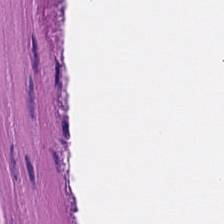H&E stain. Tissue type = smooth-muscle tissue.
